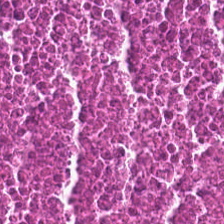Tissue class — necrotic debris.
